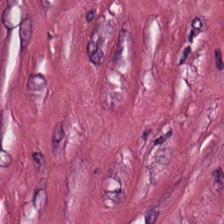H&E-stained tissue section — The predominant tissue is cancer-associated stroma.
